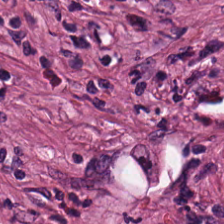Predominant tissue — tumor-associated stroma.
